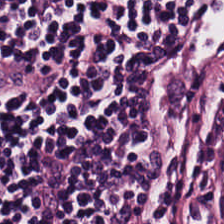H&E stain.
The tissue is lymphocytic infiltrate.
